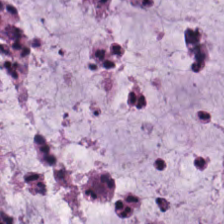H&E stain. {"tissue_type": "mucin"}
